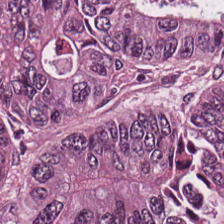Hematoxylin-and-eosin stained section. FFPE tissue section. 224×224 px tile. The predominant tissue is colorectal adenocarcinoma.
